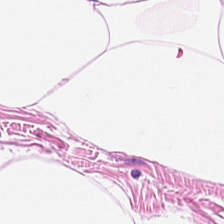H&E stain.
Q: What is shown here?
A: This is adipose.
